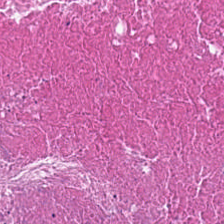Q: What tissue type is shown here?
A: The field shows cellular debris.
